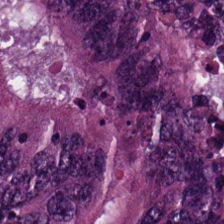The predominant tissue is colorectal adenocarcinoma epithelium.
